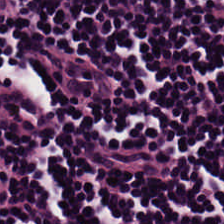224×224 px patch · H&E · FFPE.
Classification = lymphocyte aggregate.
